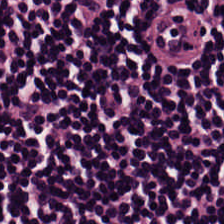Stain: H&E.
Predominant tissue: lymphoid infiltrate.
